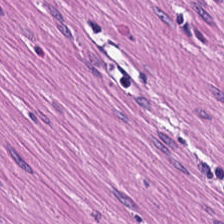H&E — Predominantly muscularis.
